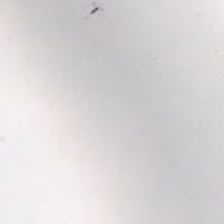H&E. 224×224 px patch. 0.5 µm per pixel. This field is background (no tissue).
